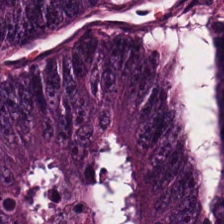Hematoxylin-and-eosin stained section; whole-slide-image patch — The predominant tissue is colorectal adenocarcinoma.
